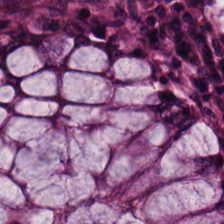H&E.
Classification — normal colon mucosa.
